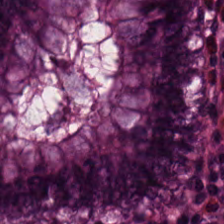Q: Classify this patch.
A: Normal colon mucosa.
